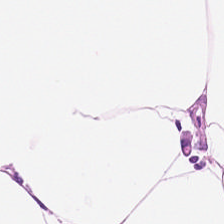H&E stain · 0.5 µm per pixel. This field is adipose tissue.
